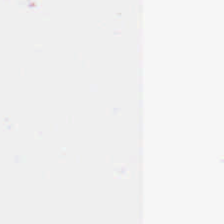Hematoxylin and eosin — No tissue present; background only.
